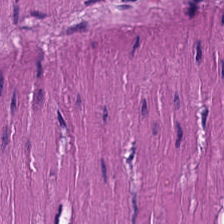Brightfield microscopy · H&E stain · 224×224 px patch — Classification — smooth muscle.
